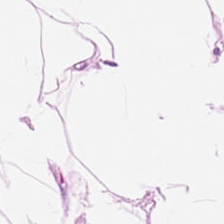H&E stain. Showing adipose tissue.
